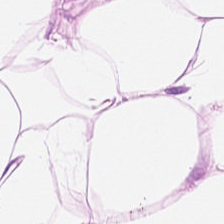Hematoxylin-and-eosin stained section — The predominant tissue is adipose.
